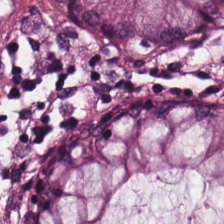0.5 µm per pixel. Brightfield microscopy. Hematoxylin-and-eosin stained section. Normal colonic mucosa.
